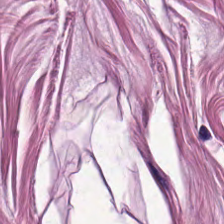Hematoxylin-and-eosin stained section — The tissue here is smooth muscle.
